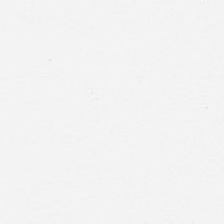H&E stain; formalin-fixed paraffin-embedded section.
Content: empty background.
